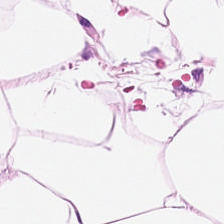H&E-stained tissue section · 224×224 px patch · formalin-fixed paraffin-embedded section — Classification: adipose tissue.
